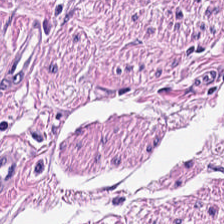H&E. Showing smooth muscle.
